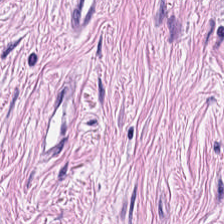Q: Classify this patch.
A: The field shows tumor-associated stroma.
